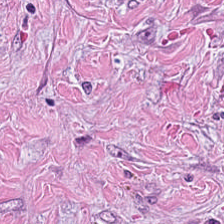FFPE · hematoxylin and eosin.
The classification is desmoplastic stroma.
